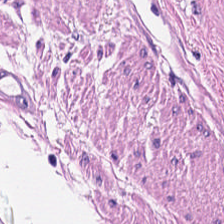H&E stain. Q: What tissue type is shown here?
A: This is smooth muscle.
